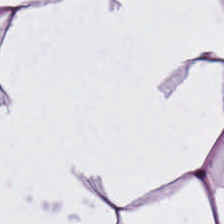H&E.
The predominant tissue is adipocytes.
